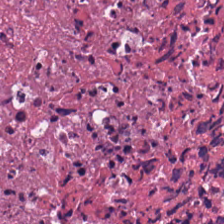H&E-stained tissue section · formalin-fixed paraffin-embedded section. Tissue type — cellular debris.
